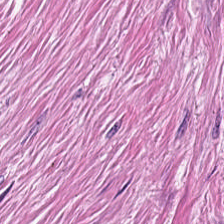FFPE · H&E · WSI patch — Predominantly tumor stroma.
